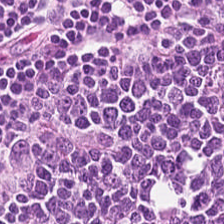H&E stain — Predominantly lymphoid infiltrate.
